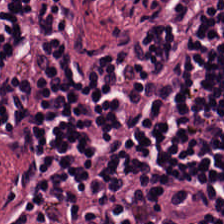H&E-stained tissue section.
Q: What is shown here?
A: Lymphocytes.
